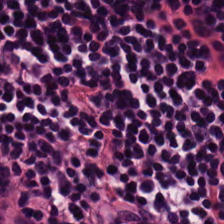Hematoxylin and eosin — Lymphocytes.
